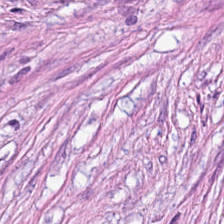H&E stain — Histology — tumor stroma.
